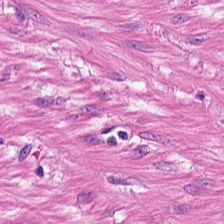The tissue class is smooth muscle.
